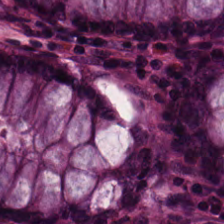H&E stain. Benign colonic mucosa.
